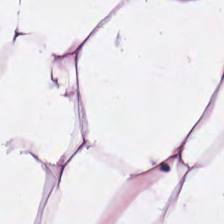Stain: hematoxylin-and-eosin stained section.
Predominant tissue: adipocytes.
